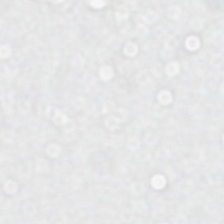Brightfield · H&E-stained tissue section — This field is background (no tissue).
